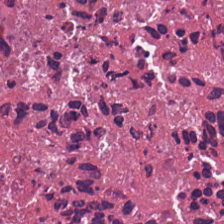Hematoxylin-and-eosin stained section · 0.5 µm per pixel.
The predominant tissue is debris.
